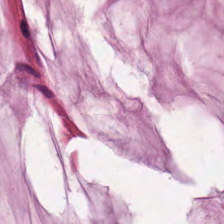H&E. This field is mucus.
